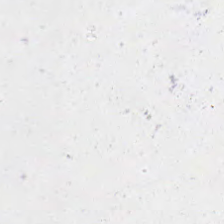Brightfield · 0.5 µm per pixel · H&E-stained tissue section.
No tissue present; background only.
